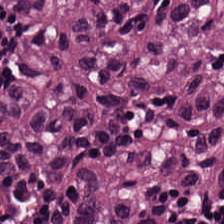H&E-stained tissue section.
The tissue here is colorectal adenocarcinoma.
